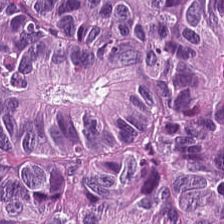Predominant tissue — colorectal adenocarcinoma epithelium.
